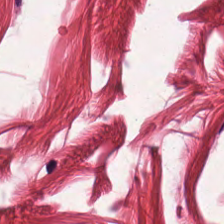Q: What type of tissue is this?
A: The field shows muscularis.
